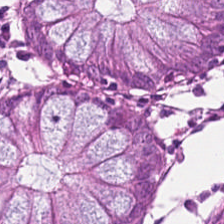Hematoxylin-and-eosin stained section · brightfield. Tissue type: normal colonic mucosa.
